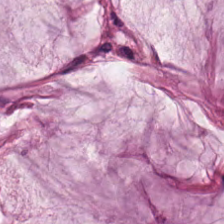Q: What is shown in this field?
A: It is extracellular mucin.
